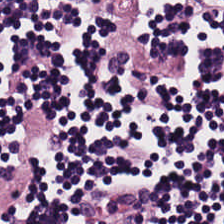The tissue is lymphocytes.
